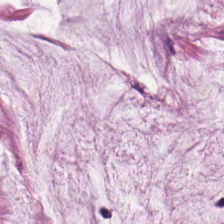H&E stain — Tissue class: mucus.
